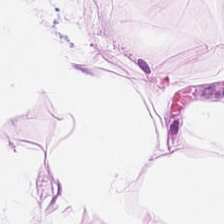H&E — Impression — adipocytes.
